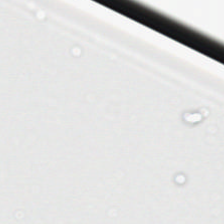20× equivalent magnification. FFPE. Hematoxylin-and-eosin stained section. Q: What is shown in this field?
A: The field shows background.
